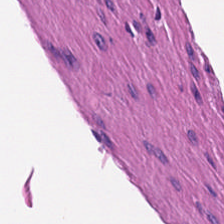224×224 pixel tile. Hematoxylin and eosin.
Muscularis.
